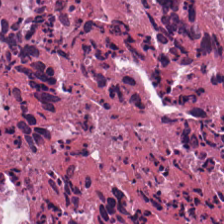0.5 microns per pixel; hematoxylin-and-eosin stained section; formalin-fixed paraffin-embedded section.
Predominantly cellular debris.
